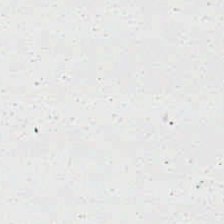H&E. Background — no tissue in this field.
